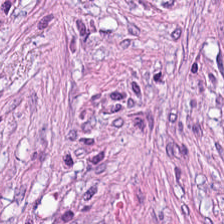Stain: hematoxylin-and-eosin stained section.
Tissue type: cancer-associated stroma.
